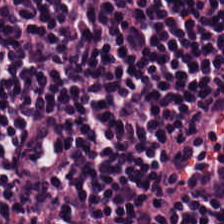Tissue: lymphocyte aggregate.
